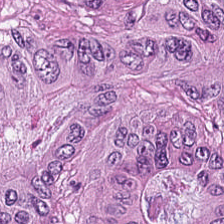H&E. Q: What does this patch show?
A: Colorectal adenocarcinoma.
